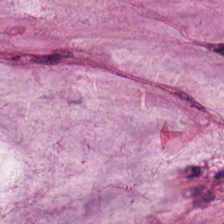Hematoxylin and eosin; 0.5 µm per pixel. Tissue class = extracellular mucin.
